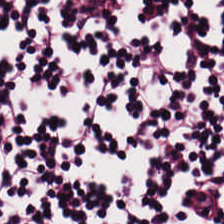H&E. The tissue here is lymphocytic infiltrate.
